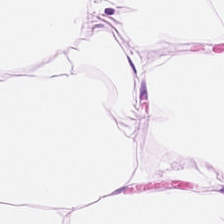The tissue type is adipocytes.
